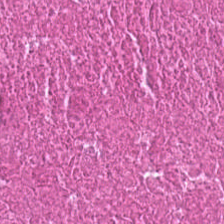H&E stain; FFPE; 224×224 px patch.
Necrotic debris.
